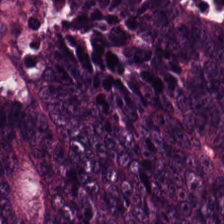H&E-stained tissue section. Q: What tissue is shown?
A: The field shows adenocarcinoma.
